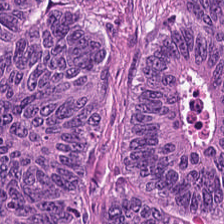The tissue here is colorectal adenocarcinoma.
